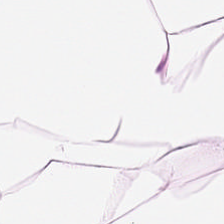Formalin-fixed paraffin-embedded section · H&E stain. Q: Identify the tissue.
A: This is adipose tissue.
